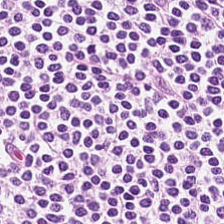Stain: hematoxylin and eosin.
Tile size: 224×224 pixel tile.
Preparation: FFPE tissue section.
Tissue class: lymphocyte aggregate.
